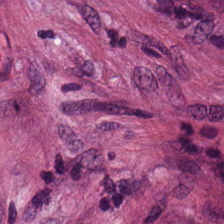Hematoxylin-and-eosin stained section. Classification = cancer-associated stroma.
